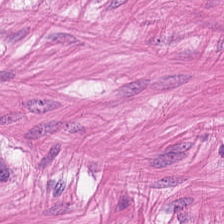Hematoxylin and eosin.
Impression — smooth-muscle tissue.
